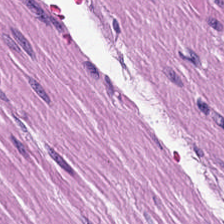H&E-stained tissue section. The tissue type is smooth-muscle tissue.
